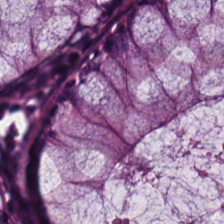H&E-stained tissue section.
Q: What type of tissue is this?
A: This is normal colonic mucosa.
